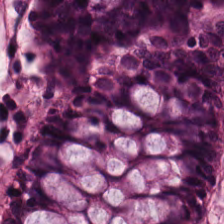H&E stain · brightfield. This field is non-neoplastic colon mucosa.
